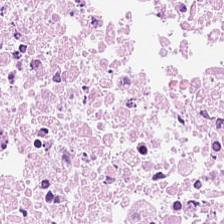Hematoxylin and eosin.
Finding — debris.
